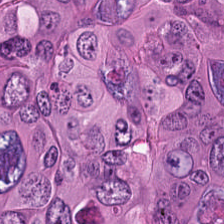Hematoxylin and eosin — Histology — malignant epithelium.
